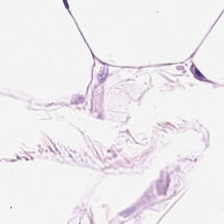H&E stain — {"tissue_type": "fat tissue"}
